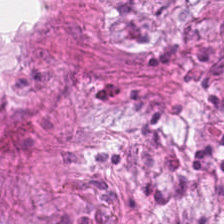H&E stain · 0.5 µm per pixel. Tissue class — tumor stroma.
